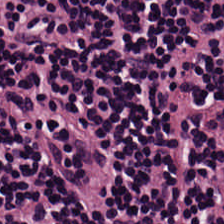H&E stain. Showing lymphocytes.
